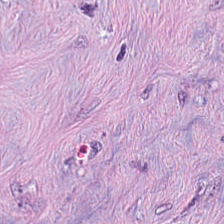Hematoxylin and eosin · brightfield — Predominant tissue = cancer-associated stroma.
